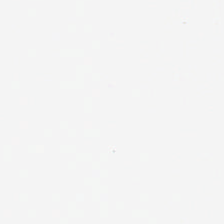Formalin-fixed paraffin-embedded section. Hematoxylin and eosin.
The classification is empty background.
